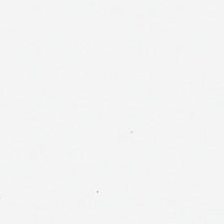Hematoxylin and eosin. This patch shows no tissue.
